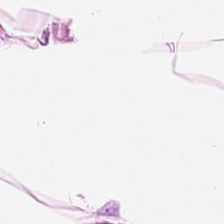H&E stain. Tissue class = adipose tissue.
